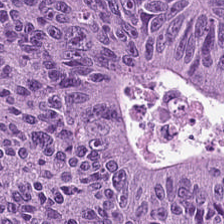Hematoxylin-and-eosin stained section — The predominant tissue is colorectal adenocarcinoma epithelium.
